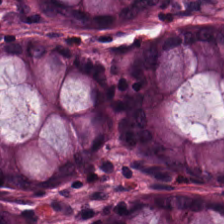H&E-stained tissue section showing non-neoplastic colon mucosa.
